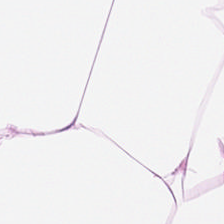Stain: hematoxylin and eosin.
Tile size: 224×224 px tile.
Acquisition: whole-slide-image patch.
Predominant tissue: adipose.
